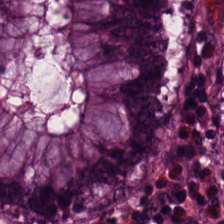Hematoxylin and eosin. 224×224 pixel tile. 0.5 microns per pixel.
Predominant tissue: non-neoplastic colon mucosa.
